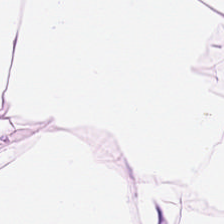0.5 µm/px · hematoxylin-and-eosin stained section.
Q: What tissue is shown?
A: It is fat tissue.
